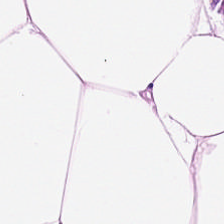Stain: H&E stain.
Tissue class: adipose.
